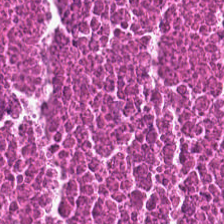Hematoxylin-and-eosin stained section. Brightfield.
Showing necrotic debris.
